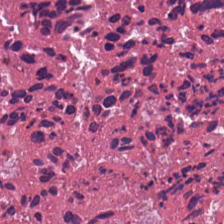FFPE tissue section · H&E-stained tissue section. The tissue here is cellular debris.
